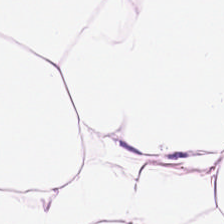Q: Identify the tissue.
A: It is fat tissue.
